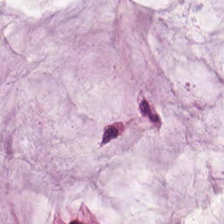Tissue class — mucin.
